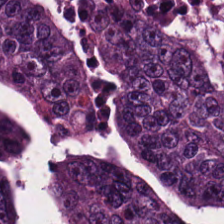Formalin-fixed paraffin-embedded section; H&E-stained tissue section — Impression → colorectal adenocarcinoma.
